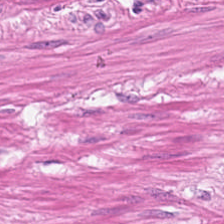Stain: H&E-stained tissue section.
Predominant tissue: muscularis.
